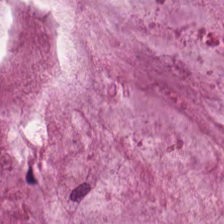Hematoxylin and eosin.
Tissue: extracellular mucin.
